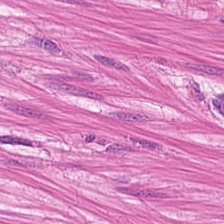H&E stain — Predominantly muscularis.
